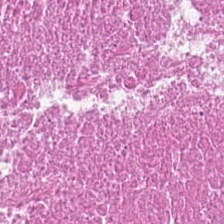H&E stain.
{"tissue_type": "necrotic debris"}
